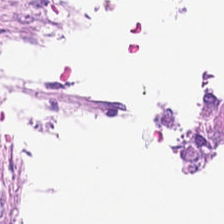H&E stain — Content: empty background.
